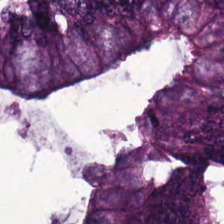H&E; 224×224 pixel tile.
Q: What type of tissue is this?
A: The field shows colorectal adenocarcinoma.
